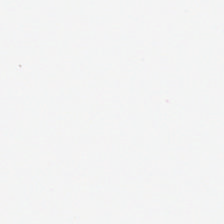H&E · WSI patch.
Background.
